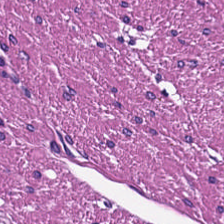0.5 µm per pixel. H&E — This patch shows smooth muscle.
